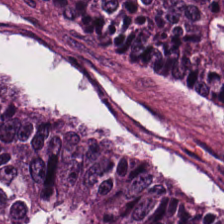H&E — Q: Classify this patch.
A: This is malignant epithelium.
